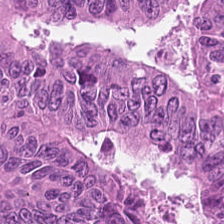Hematoxylin and eosin. Q: Identify the tissue.
A: Colorectal adenocarcinoma epithelium.
